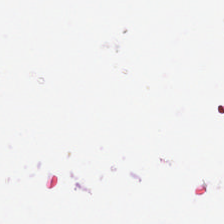Stain: hematoxylin-and-eosin stained section.
Content: empty background.
